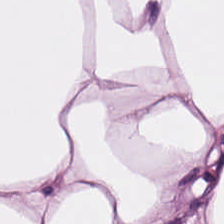FFPE · H&E-stained tissue section · 0.5 µm/px.
Predominant tissue = fat tissue.
